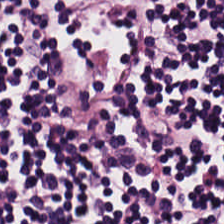H&E stain. Tissue type: lymphoid infiltrate.
